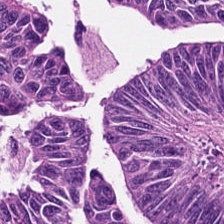Stain: hematoxylin-and-eosin stained section.
Predominant tissue: malignant epithelium.
